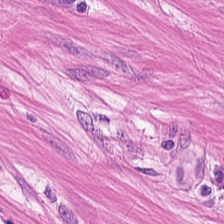Hematoxylin-and-eosin stained section; 224×224 px tile — {"tissue_type": "smooth-muscle tissue"}
